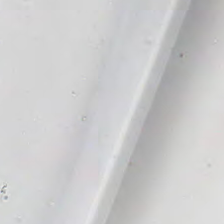Stain: hematoxylin-and-eosin stained section.
Acquisition: brightfield.
Preparation: FFPE.
Field content: background.
